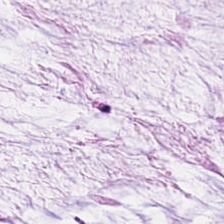Stain: hematoxylin and eosin.
Tissue type: extracellular mucin.
